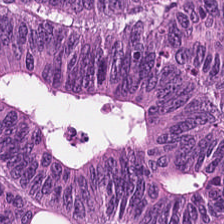Hematoxylin-and-eosin stained section.
Tissue: malignant epithelium.
